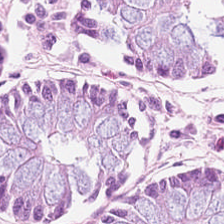Impression — normal colon mucosa.
